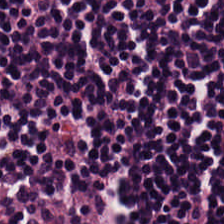Hematoxylin-and-eosin stained section.
Histology → lymphocytes.
